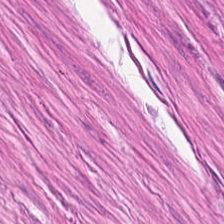Q: What type of tissue is this?
A: The field shows smooth muscle.
